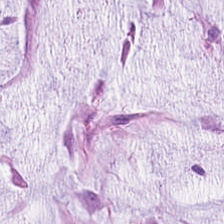H&E-stained tissue section — This field is mucin.
